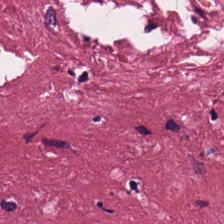H&E stain. Q: What is shown here?
A: It is cancer-associated stroma.
